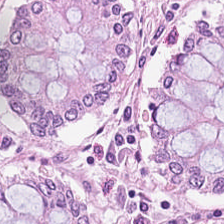224×224 px patch; H&E stain.
Tissue type = normal colon mucosa.
